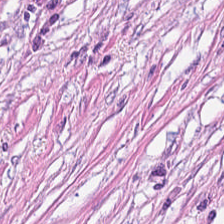Predominantly cancer-associated stroma.
